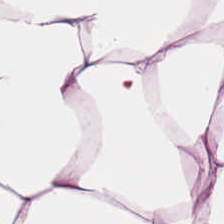H&E — Q: Classify this patch.
A: This is fat tissue.
